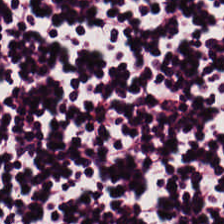Stain: hematoxylin and eosin.
Acquisition: brightfield microscopy.
Preparation: FFPE tissue section.
Classification: lymphoid infiltrate.
